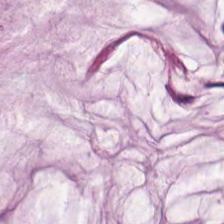Stain: H&E.
Preparation: FFPE.
Acquisition: WSI patch.
Tissue class: extracellular mucin.
